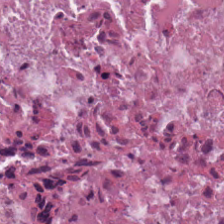Hematoxylin and eosin. Tissue — cellular debris.
